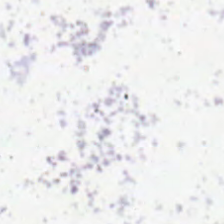Whole-slide-image patch; hematoxylin and eosin.
Background — no tissue in this field.
